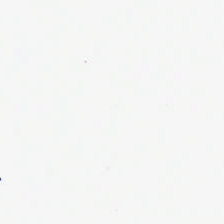Stain: H&E-stained tissue section.
Preparation: FFPE tissue section.
Acquisition: whole-slide-image patch.
Classification: background (no tissue).
